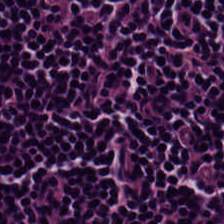H&E — Lymphoid infiltrate.
